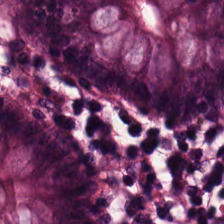FFPE · H&E stain · 0.5 microns per pixel. {"tissue_type": "benign colonic mucosa"}
